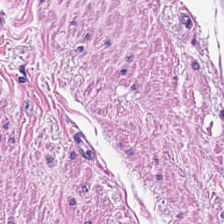Hematoxylin and eosin. Q: What does this patch show?
A: The field shows smooth muscle.
